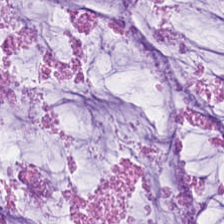FFPE; H&E; whole-slide-image patch — Tissue type = mucus.
